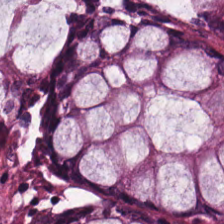H&E stain — Q: What is shown in this field?
A: The field shows non-neoplastic colon mucosa.
